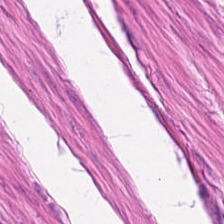Hematoxylin-and-eosin stained section. 20× equivalent magnification. 224×224 pixel tile.
Q: What tissue type is shown here?
A: It is smooth muscle.
